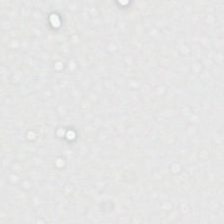Stain: hematoxylin and eosin.
Content: empty background.
